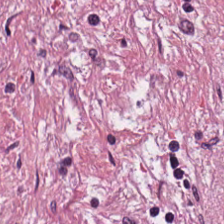H&E; 0.5 µm per pixel — Showing tumor stroma.
